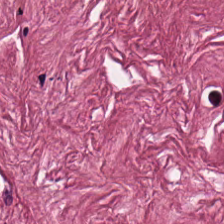Stain: H&E stain.
Classification: tumor-associated stroma.
